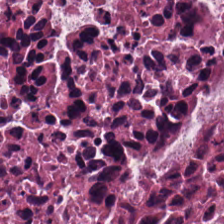H&E · FFPE · WSI patch.
Debris.
